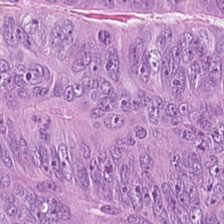Predominant tissue = adenocarcinoma.
